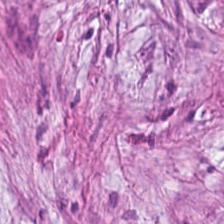224×224 pixel tile. H&E-stained tissue section.
The tissue class is cancer-associated stroma.
